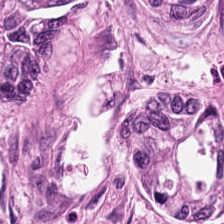Stain: hematoxylin and eosin.
Preparation: formalin-fixed paraffin-embedded section.
Tissue type: malignant epithelium.
